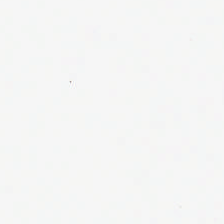Brightfield microscopy · 0.5 µm per pixel · H&E stain — {"content": "background"}
